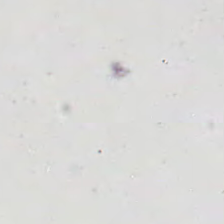Whole-slide-image patch. Hematoxylin and eosin. FFPE — Field content = empty background.
